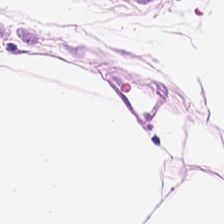224×224 pixel tile · 0.5 µm per pixel · hematoxylin-and-eosin stained section — Predominant tissue = adipose tissue.
